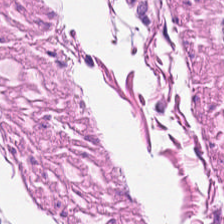Hematoxylin and eosin · brightfield microscopy.
Q: Identify the tissue.
A: It is muscularis.
